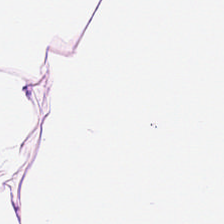Hematoxylin and eosin — Tissue — adipose tissue.
